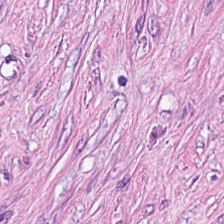Histology → tumor-associated stroma.
